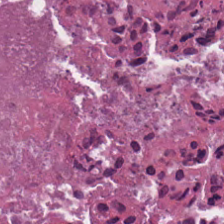H&E-stained tissue section — Q: What tissue is shown?
A: The field shows necrotic debris.
